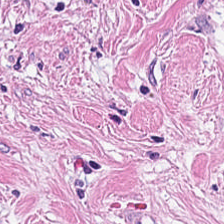Cancer-associated stroma.
